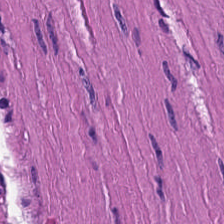0.5 microns per pixel; hematoxylin and eosin — {"tissue_type": "smooth muscle"}
